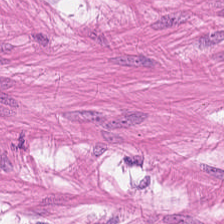H&E-stained tissue section — {"tissue_type": "muscularis"}
